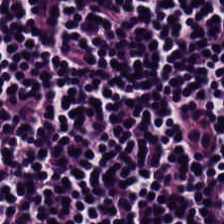Stain: H&E.
Tissue: lymphocytic infiltrate.
